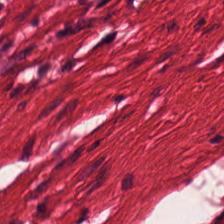Stain: H&E.
Tissue class: muscularis.
